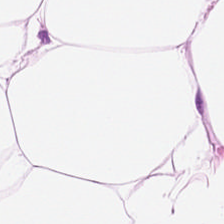Hematoxylin and eosin.
Impression — adipose.
